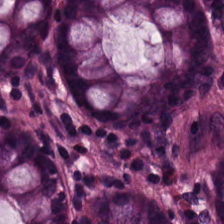Stain: H&E.
Tissue: non-neoplastic colon mucosa.
